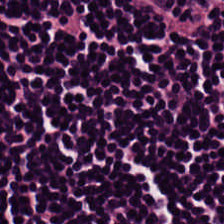H&E stain.
This patch shows lymphocytic infiltrate.
